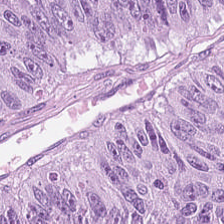Stain: H&E.
Predominant tissue: colorectal adenocarcinoma.
